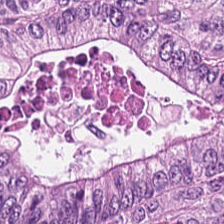H&E-stained tissue section. This field is adenocarcinoma.
